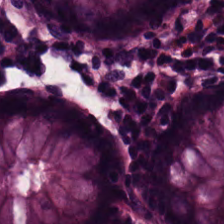H&E stain — Impression — normal colon mucosa.
